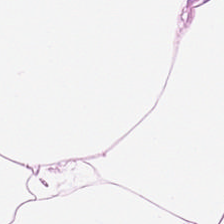H&E-stained tissue section. Brightfield — Fat tissue.
